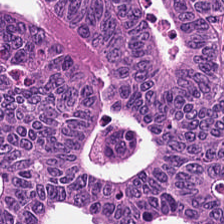224×224 px tile · hematoxylin-and-eosin stained section. This field is tumor epithelium.
